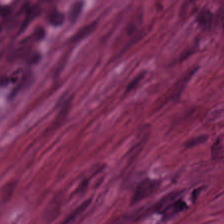H&E.
This field is desmoplastic stroma.
